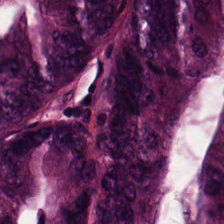20× equivalent magnification. H&E stain.
This field is colorectal adenocarcinoma.
